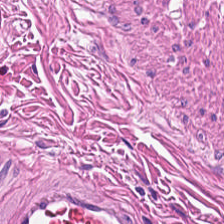H&E.
The predominant tissue is muscularis.
